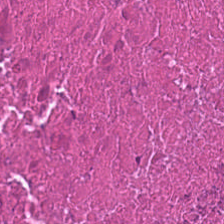Whole-slide-image patch · H&E-stained tissue section — Predominantly cellular debris.
